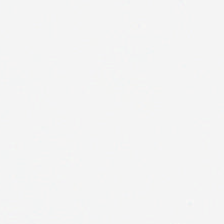Background — no tissue in this field.
